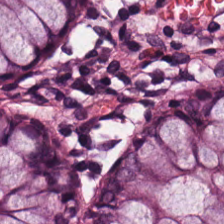H&E stain.
Non-neoplastic colon mucosa.
